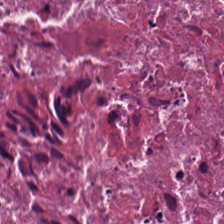Brightfield microscopy. Hematoxylin and eosin — The tissue class is debris.
